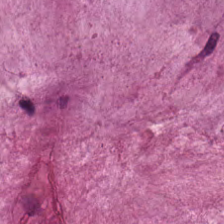Tissue — extracellular mucin.
